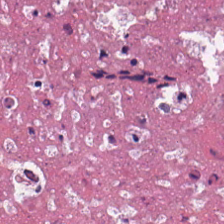Histology → cellular debris.
